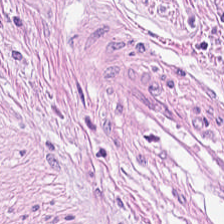Stain: hematoxylin-and-eosin stained section.
Predominant tissue: tumor stroma.
